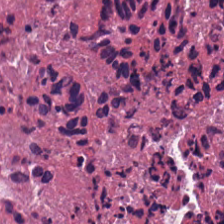FFPE tissue section · H&E. Debris.
